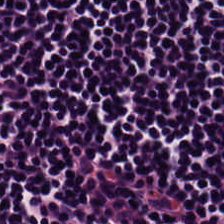Hematoxylin-and-eosin stained section.
{"tissue_type": "lymphoid infiltrate"}
